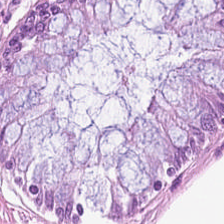Stain: H&E stain.
Preparation: FFPE tissue section.
Resolution: 20× equivalent magnification.
Classification: normal colon mucosa.
